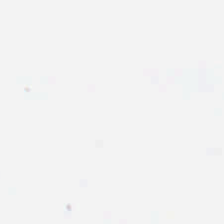224×224 px tile · H&E-stained tissue section — Finding — background (no tissue).
